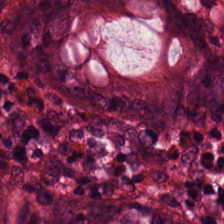Q: What tissue is shown?
A: It is benign colonic mucosa.
